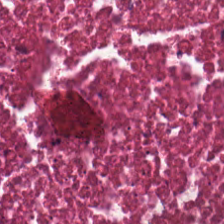Stain: hematoxylin and eosin.
Tissue class: cellular debris.
